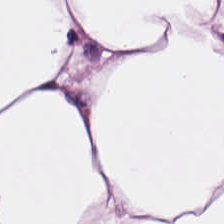Finding → adipose.
